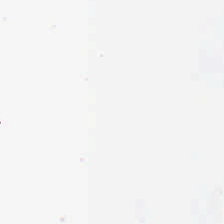Stain: hematoxylin and eosin.
Field content: no tissue.
